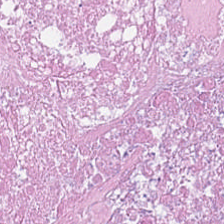Classification — necrotic debris.
